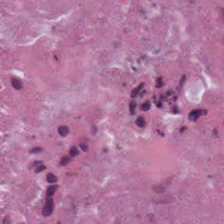20× equivalent magnification. Hematoxylin-and-eosin stained section — This field is necrotic debris.
